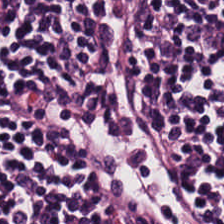H&E stain. Q: Identify the tissue.
A: It is lymphoid infiltrate.
